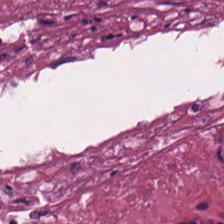The tissue type is necrotic debris.
